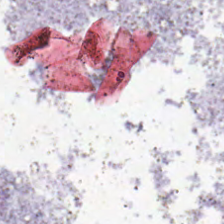Formalin-fixed paraffin-embedded section · H&E-stained tissue section · whole-slide-image patch. Field content — background.
